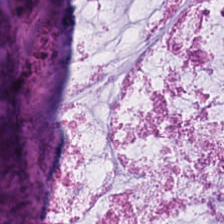Brightfield microscopy. 224×224 pixel tile. H&E stain. {"tissue_type": "mucus"}
